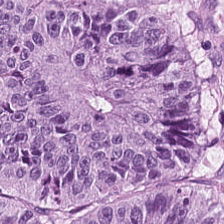Finding — colorectal adenocarcinoma.
